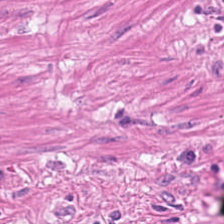Stain: H&E.
Acquisition: brightfield.
Tissue class: smooth-muscle tissue.
